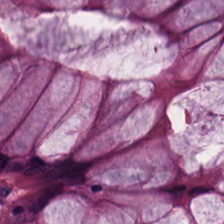Hematoxylin and eosin — Showing benign colonic mucosa.
